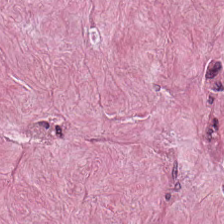Hematoxylin and eosin · FFPE tissue section. {"tissue_type": "tumor-associated stroma"}
